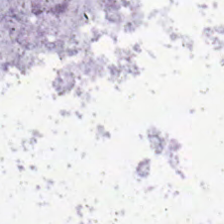Brightfield. FFPE tissue section. H&E.
The classification is background.
